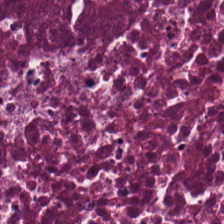Hematoxylin-and-eosin stained section. The predominant tissue is necrotic debris.
